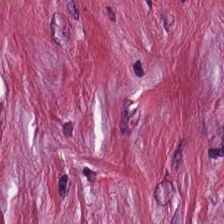H&E — Finding → tumor stroma.
